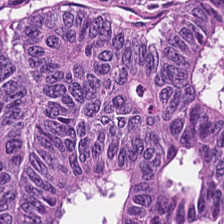H&E; WSI patch.
The tissue here is malignant epithelium.
